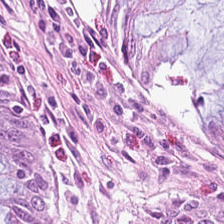H&E-stained tissue section · 0.5 µm per pixel · FFPE — The tissue here is normal colonic mucosa.
